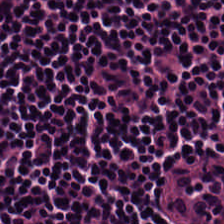Whole-slide-image patch. 20× equivalent magnification. H&E-stained tissue section. This field is lymphoid infiltrate.
